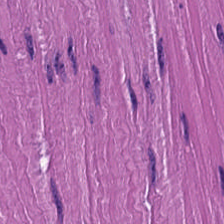H&E-stained tissue section — Tissue type — muscularis.
